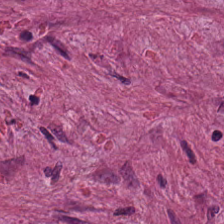Stain: H&E.
Classification: desmoplastic stroma.
